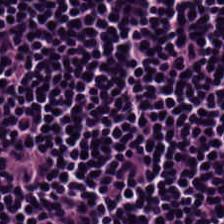Stain: H&E stain.
Tissue type: lymphocytic infiltrate.
